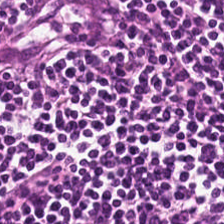H&E-stained tissue section — Q: What does this patch show?
A: It is lymphocytes.
